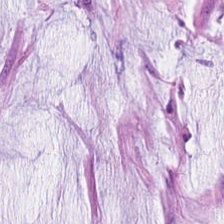FFPE; hematoxylin-and-eosin stained section. Tissue: mucus.
